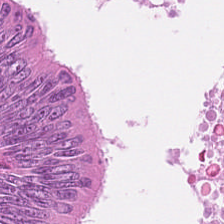Stain: H&E.
Tissue: malignant epithelium.
